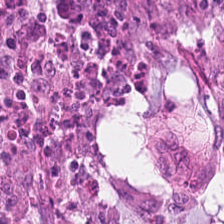Stain: H&E stain.
Tissue: colorectal adenocarcinoma.
